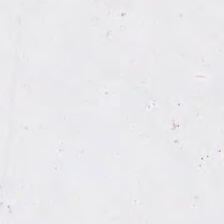No tissue present; background only.
